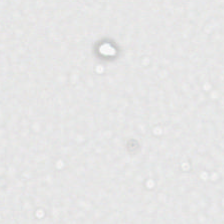0.5 microns per pixel; hematoxylin-and-eosin stained section. Q: What does this patch show?
A: The field shows empty background.
